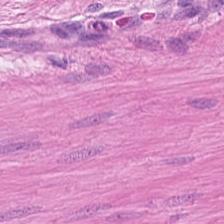H&E-stained tissue section. 0.5 microns per pixel. FFPE — Predominant tissue: smooth-muscle tissue.
